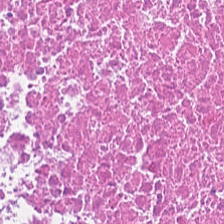Hematoxylin-and-eosin stained section · 224×224 px tile · FFPE tissue section.
{"tissue_type": "necrotic debris"}
